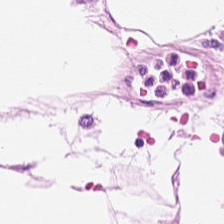Adipocytes.
